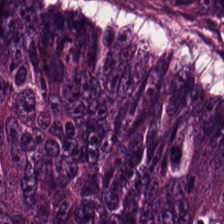H&E. Predominantly colorectal adenocarcinoma.
